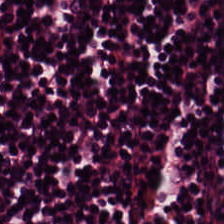Stain: H&E stain.
Tissue: lymphocytes.
